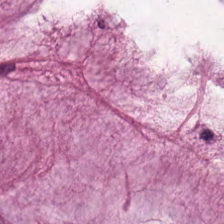Hematoxylin-and-eosin stained section. The predominant tissue is mucus.
